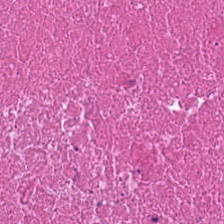Hematoxylin-and-eosin stained section · brightfield microscopy — Histology → cellular debris.
